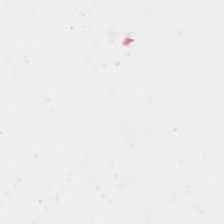Hematoxylin-and-eosin stained section.
Content — no tissue.
